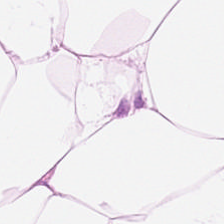H&E stain — Tissue = fat tissue.
